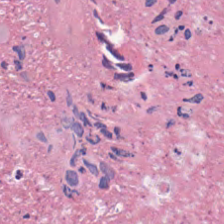Tissue class: cellular debris.
